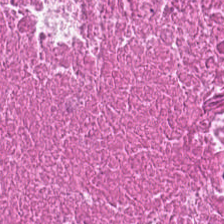FFPE; H&E stain. Q: What type of tissue is this?
A: This is cellular debris.
